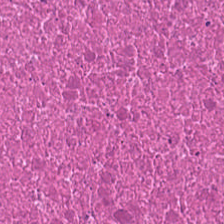224×224 pixel tile; hematoxylin-and-eosin stained section; WSI patch — Q: What tissue is shown?
A: Necrotic debris.
